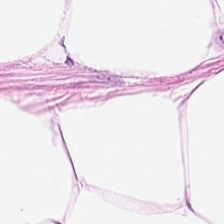Q: What is the predominant tissue type?
A: It is adipocytes.
